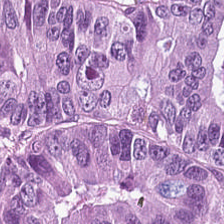Brightfield · hematoxylin-and-eosin stained section. Q: What does this patch show?
A: This is colorectal adenocarcinoma epithelium.
